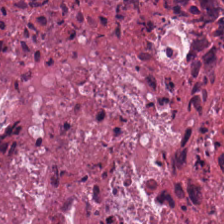Q: Classify this patch.
A: This is cellular debris.
